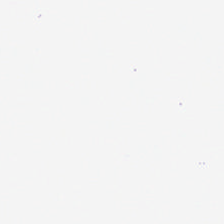Hematoxylin and eosin · 224×224 px patch.
The content is empty background.
